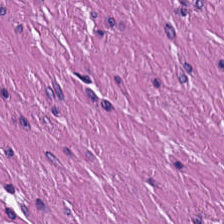H&E; 224×224 px patch. Predominantly smooth-muscle tissue.
